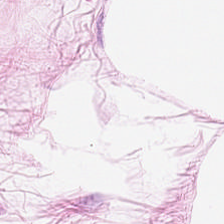H&E — Impression → adipocytes.
